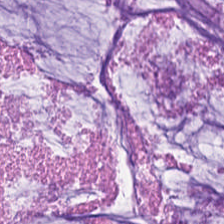H&E — extracellular mucin.
